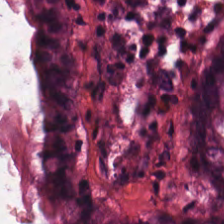Whole-slide-image patch · H&E-stained tissue section. Predominant tissue = benign colonic mucosa.
